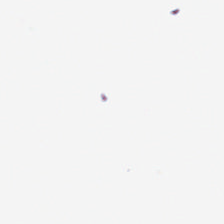Empty field — background (no tissue).
